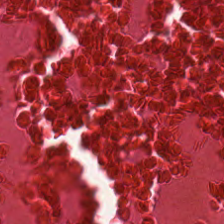FFPE tissue section; brightfield; hematoxylin and eosin. Q: What tissue type is shown here?
A: It is cellular debris.
